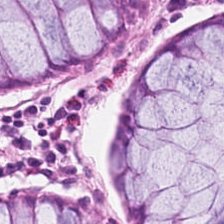H&E — normal colonic mucosa.
